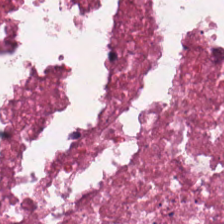H&E. Formalin-fixed paraffin-embedded section.
The tissue type is necrotic debris.
